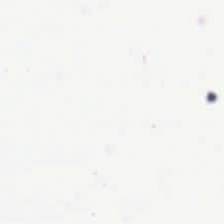H&E — {"content": "empty background"}
